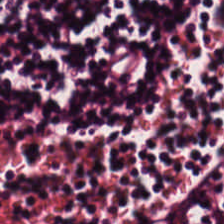Hematoxylin-and-eosin stained section; 224×224 px tile.
Lymphocytes.
